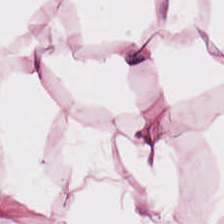Stain: H&E stain.
Acquisition: whole-slide-image patch.
Preparation: FFPE tissue section.
Classification: adipose.
